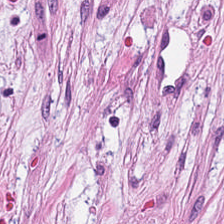H&E. This patch shows tumor stroma.
